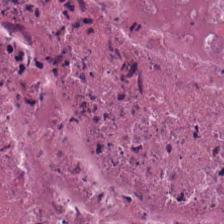H&E-stained tissue section. {"tissue_type": "necrotic debris"}
